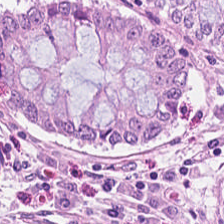Q: What is shown here?
A: Benign colonic mucosa.
